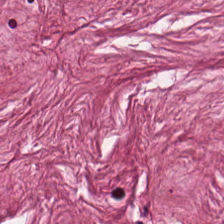Stain: H&E.
Predominant tissue: tumor stroma.
